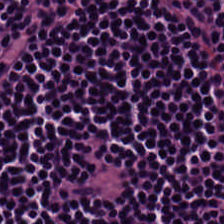Tissue type — lymphoid infiltrate.
